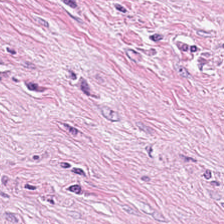Predominantly tumor-associated stroma.
